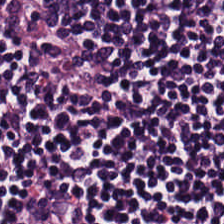Hematoxylin-and-eosin stained section.
Q: What tissue type is shown here?
A: The field shows lymphocyte aggregate.
